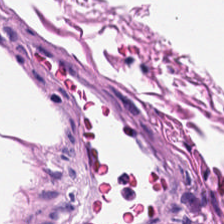224×224 pixel tile; H&E; 0.5 µm per pixel. The tissue here is smooth muscle.
